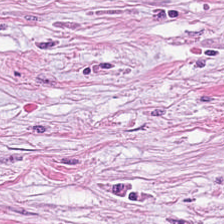224×224 pixel tile; hematoxylin and eosin — Impression → desmoplastic stroma.
